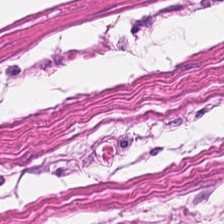Q: What is shown in this field?
A: The field shows smooth muscle.
